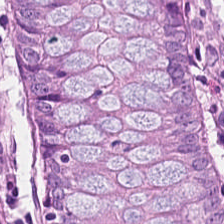Hematoxylin-and-eosin stained section. Predominant tissue: normal colon mucosa.
